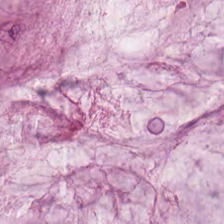H&E.
Q: What is shown in this field?
A: Mucin.
